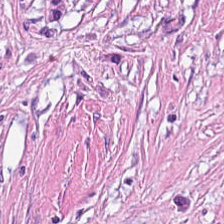H&E-stained tissue section; 0.5 µm/px.
Showing tumor-associated stroma.
